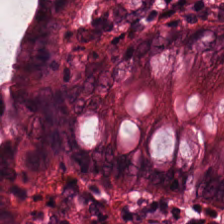H&E-stained tissue section — The tissue here is normal colon mucosa.
